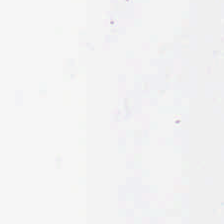Stain: hematoxylin and eosin.
Content: empty background.
